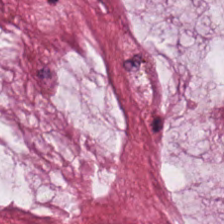Impression → extracellular mucin.
